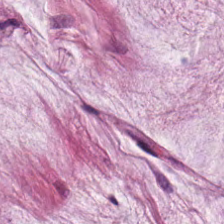H&E-stained tissue section; 0.5 microns per pixel — Tissue type = mucin.
